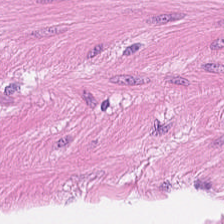H&E stain. Q: What tissue is shown?
A: Muscularis.
